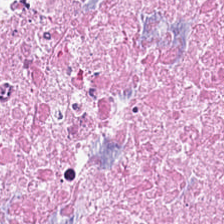H&E stain — Impression → cellular debris.
